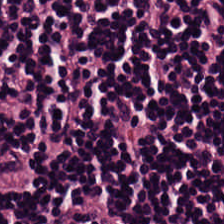H&E-stained tissue section showing lymphocytes.
